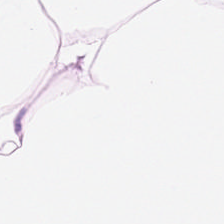Stain: H&E-stained tissue section.
Classification: adipose tissue.
